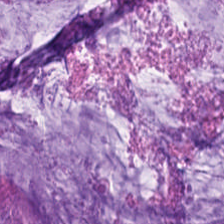Hematoxylin and eosin — Predominant tissue = mucus.
